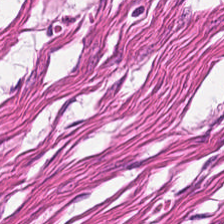Whole-slide-image patch; hematoxylin-and-eosin stained section — This field is smooth muscle.
